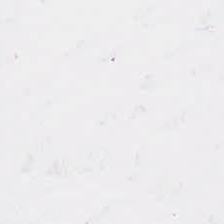Background.
